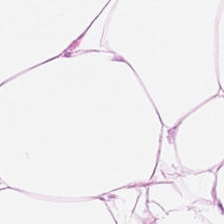Brightfield microscopy; FFPE tissue section; H&E. Showing adipocytes.
